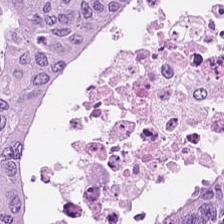Predominant tissue: adenocarcinoma.
